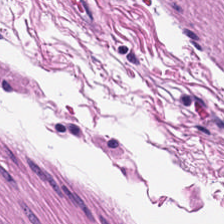H&E patch showing smooth-muscle tissue.
